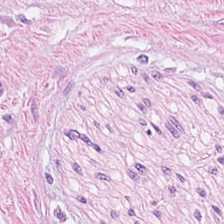H&E — Q: What is shown in this field?
A: Tumor stroma.
